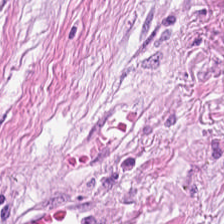{"tissue_type": "tumor stroma"}
